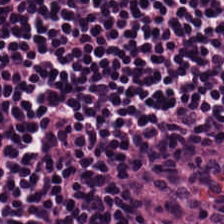Predominant tissue — lymphocytes.
